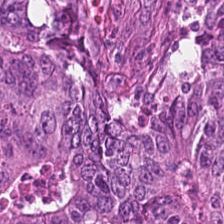Stain: H&E stain.
Resolution: 0.5 µm per pixel.
Predominant tissue: adenocarcinoma.
